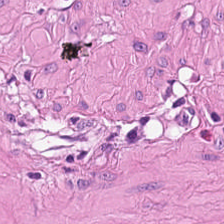Hematoxylin-and-eosin stained section. Tissue — muscularis.
